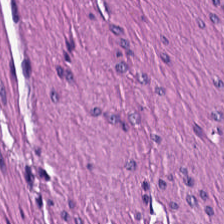Tissue type — smooth-muscle tissue.
